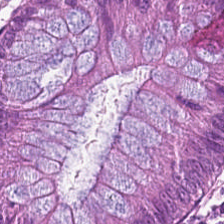Hematoxylin and eosin. 0.5 µm/px — Q: What is the predominant tissue type?
A: Normal colonic mucosa.
